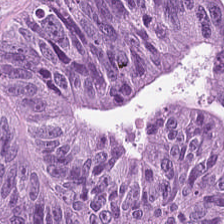The tissue class is colorectal adenocarcinoma epithelium.
